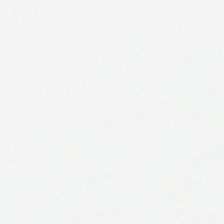H&E stain; 0.5 µm/px.
The content is background.
